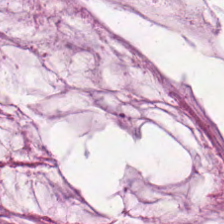H&E-stained tissue section. Whole-slide-image patch. 224×224 px tile.
The classification is mucus.
